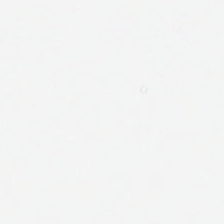Hematoxylin and eosin. Brightfield microscopy — This patch shows background.
